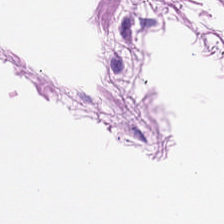This field is smooth muscle.
